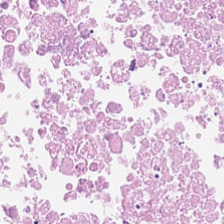Showing debris.
